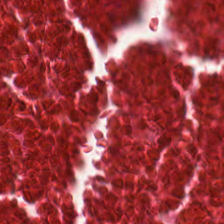Formalin-fixed paraffin-embedded section · H&E · 0.5 µm per pixel — Histology — necrotic debris.
